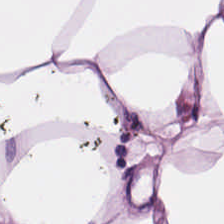H&E-stained tissue section. Predominantly fat tissue.
